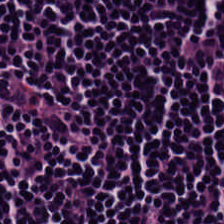FFPE · H&E-stained tissue section.
Impression → lymphoid infiltrate.
